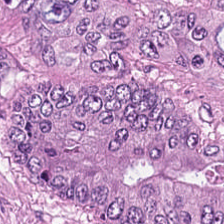Hematoxylin and eosin. Tissue class: tumor epithelium.
